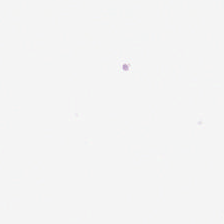H&E. Content: no tissue.
